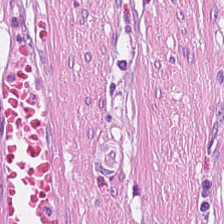Formalin-fixed paraffin-embedded section · 0.5 µm/px · H&E-stained tissue section.
Impression → desmoplastic stroma.
